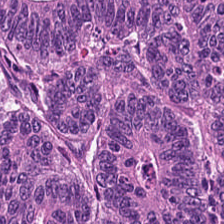224×224 pixel tile · formalin-fixed paraffin-embedded section · H&E — The tissue here is adenocarcinoma.
